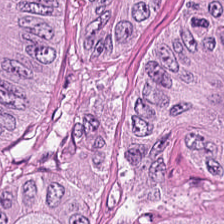Tissue class — tumor epithelium.
